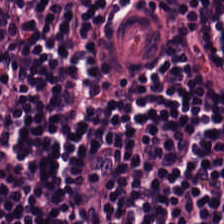Hematoxylin and eosin; 224×224 px tile. Showing lymphocyte aggregate.
